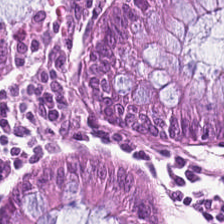Hematoxylin-and-eosin stained section; formalin-fixed paraffin-embedded section; 224×224 px tile — This patch shows normal colon mucosa.
